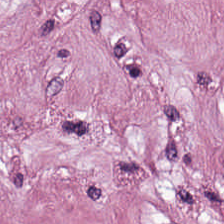H&E stain; WSI patch. This patch shows tumor stroma.
